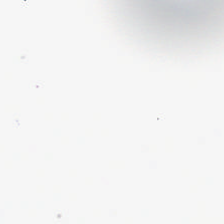Hematoxylin and eosin — Q: What is shown here?
A: Empty background.
